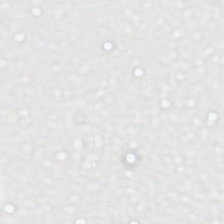This field is background (no tissue).
